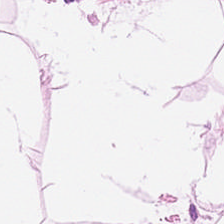H&E. Impression — adipocytes.
